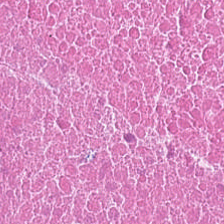224×224 px patch. Hematoxylin-and-eosin stained section.
This field is cellular debris.
